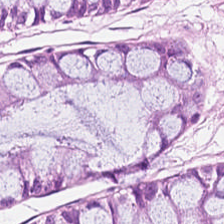Hematoxylin and eosin; 224×224 pixel tile; 0.5 microns per pixel. Predominantly benign colonic mucosa.
